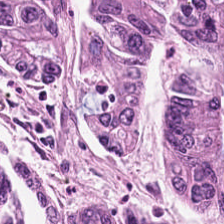H&E. 224×224 pixel tile — Classification = colorectal adenocarcinoma epithelium.
